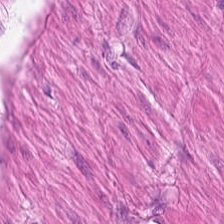224×224 px patch; hematoxylin and eosin. The tissue class is muscularis.
